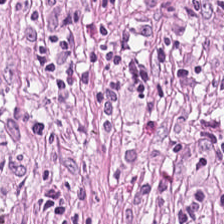Q: What is the predominant tissue type?
A: The field shows cancer-associated stroma.
